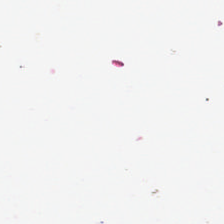Stain: hematoxylin-and-eosin stained section.
Content: empty background.
